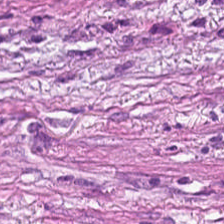Hematoxylin-and-eosin stained section. This field is tumor-associated stroma.
